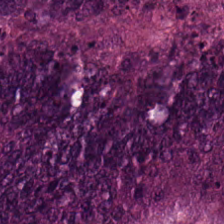Tissue = colorectal adenocarcinoma.
